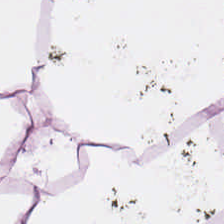H&E-stained tissue section — Predominantly adipocytes.
